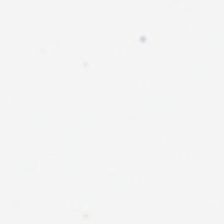H&E. Q: What is shown here?
A: No tissue.
